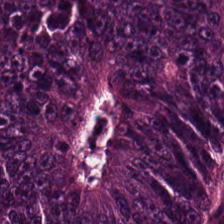The tissue class is colorectal adenocarcinoma.
